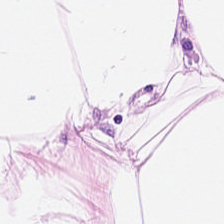Predominant tissue: adipose.
